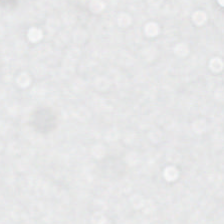224×224 px patch; H&E.
Impression → background (no tissue).
